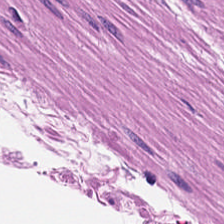H&E-stained tissue section; 0.5 microns per pixel; FFPE tissue section — This field is muscularis.
